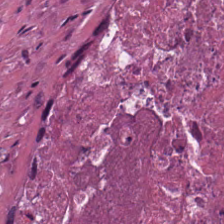20× equivalent magnification. H&E stain — Predominantly cellular debris.
